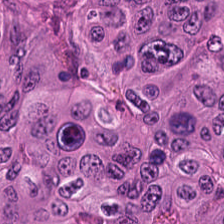Predominantly tumor epithelium.
